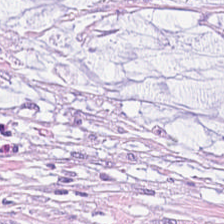H&E-stained tissue section.
The tissue is extracellular mucin.
